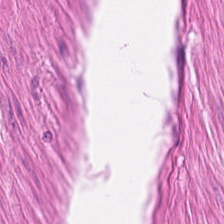Stain: H&E stain.
Tile size: 224×224 pixel tile.
Resolution: 20× equivalent magnification.
Predominant tissue: muscularis.
